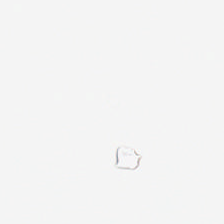Hematoxylin-and-eosin stained section — Q: What is shown in this field?
A: Background.
